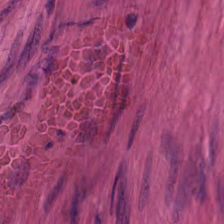Stain: hematoxylin and eosin.
Tissue: muscularis.
